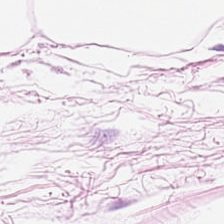H&E — Showing adipose.
